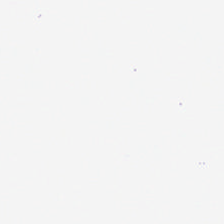Impression → empty background.
